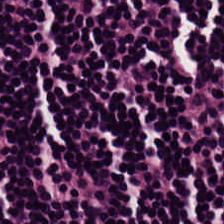H&E — Predominantly lymphocytic infiltrate.
